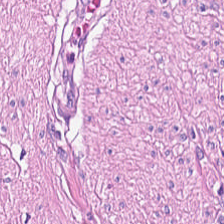Hematoxylin and eosin. Predominantly muscularis.
